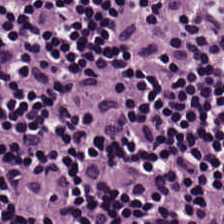H&E. The tissue class is lymphocyte aggregate.
